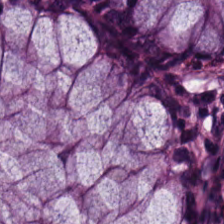H&E stain — The tissue type is benign colonic mucosa.
